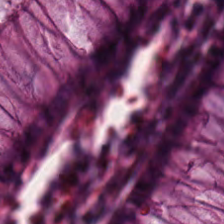Predominant tissue: non-neoplastic colon mucosa.
